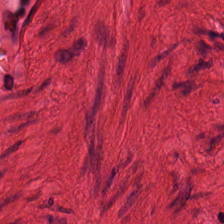H&E stain; FFPE tissue section. Impression — smooth-muscle tissue.
